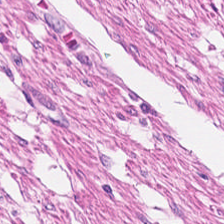H&E stain. Q: What type of tissue is this?
A: Smooth muscle.
